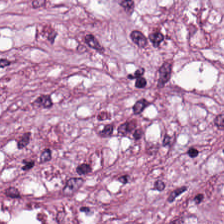FFPE tissue section; 224×224 px tile; hematoxylin-and-eosin stained section.
Tissue class: cancer-associated stroma.
